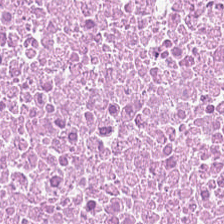H&E — Tissue type — cellular debris.
